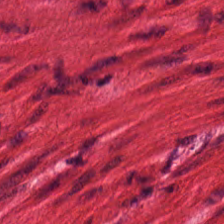Classification = muscularis.
